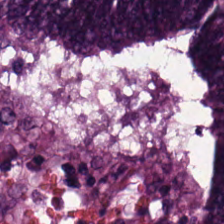H&E stain.
Q: What is the predominant tissue type?
A: This is tumor epithelium.
